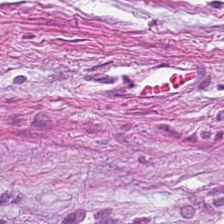{"tissue_type": "cancer-associated stroma"}
